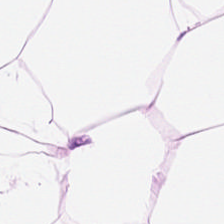Stain: H&E.
Acquisition: whole-slide-image patch.
Tile size: 224×224 px tile.
Predominant tissue: fat tissue.
